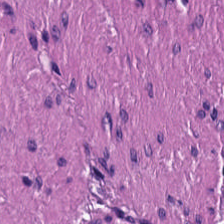FFPE tissue section; hematoxylin and eosin.
The classification is smooth muscle.
